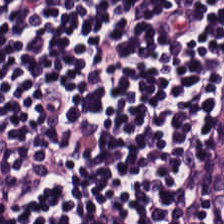Tissue = lymphocytes.
